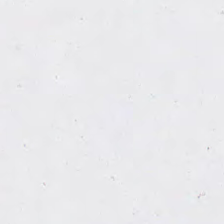H&E stain. 20× equivalent magnification. Brightfield microscopy.
Empty field — no tissue.
